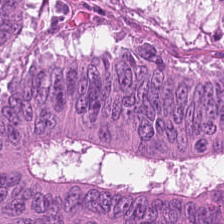H&E. 0.5 microns per pixel. Brightfield.
Classification = colorectal adenocarcinoma epithelium.
